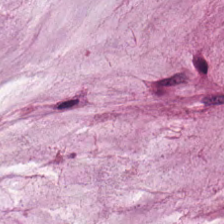Finding → mucus.
